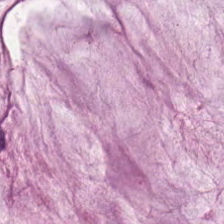H&E; FFPE tissue section; 224×224 pixel tile — Q: What tissue type is shown here?
A: It is mucin.
